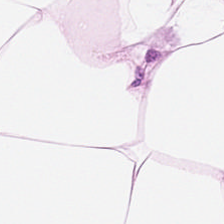FFPE · H&E — {"tissue_type": "fat tissue"}
